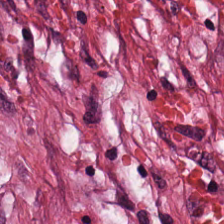Impression → tumor stroma.
